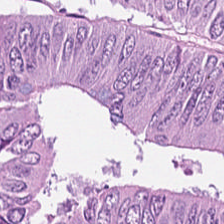Stain: H&E.
Classification: malignant epithelium.
